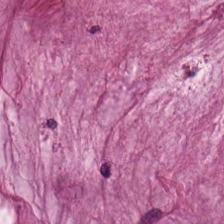H&E stain — The predominant tissue is mucus.
